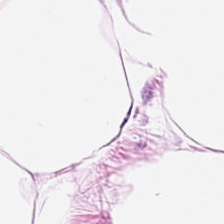H&E-stained tissue section. Predominantly adipose tissue.
